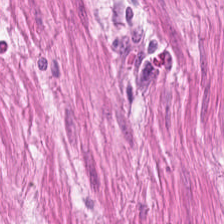H&E-stained tissue section. Finding — smooth muscle.
